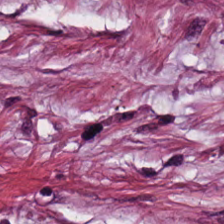Stain: hematoxylin and eosin.
Tissue type: tumor stroma.
